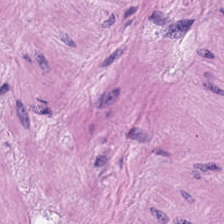H&E-stained tissue section. Brightfield. 224×224 pixel tile — Tissue — muscularis.
